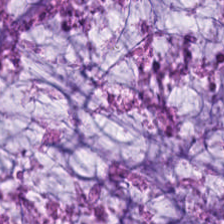H&E stain.
Showing mucin.
